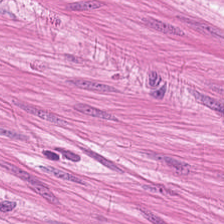H&E — The predominant tissue is smooth muscle.
